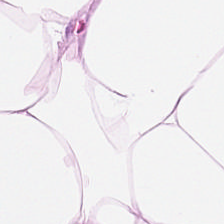Q: Identify the tissue.
A: The field shows adipocytes.
